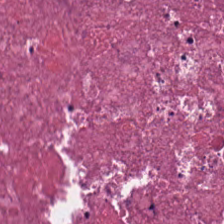Stain: H&E stain.
Resolution: 0.5 µm/px.
Tissue class: necrotic debris.
